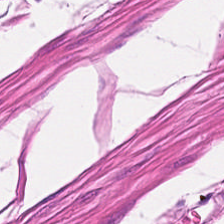H&E — Finding → smooth muscle.
